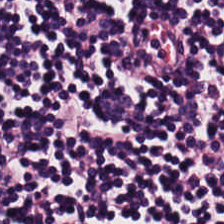Brightfield; hematoxylin-and-eosin stained section — Finding → lymphoid infiltrate.
